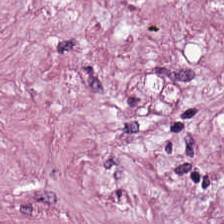Stain: hematoxylin and eosin.
Tile size: 224×224 px tile.
Predominant tissue: desmoplastic stroma.
